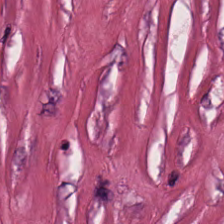Finding → cancer-associated stroma.
